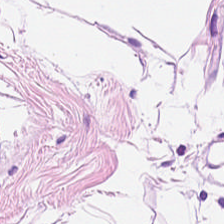Hematoxylin and eosin · 0.5 µm/px — The predominant tissue is adipocytes.
